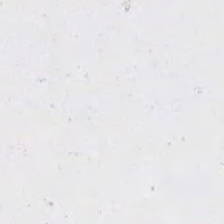Hematoxylin and eosin. Q: What is shown here?
A: Background.
